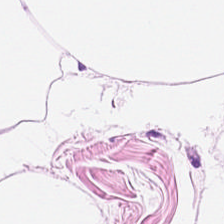Whole-slide-image patch; 224×224 px tile; H&E — The tissue is adipocytes.
